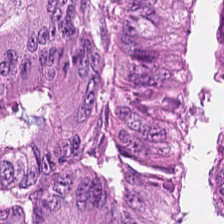H&E-stained tissue section · 0.5 µm per pixel.
The tissue type is colorectal adenocarcinoma.
